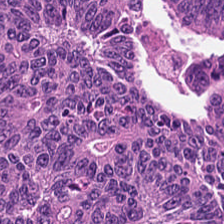H&E stain. Predominantly colorectal adenocarcinoma epithelium.
